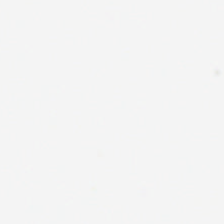H&E stain · FFPE. This patch shows empty background.
